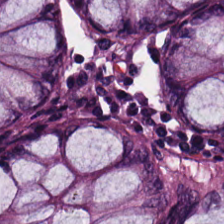Formalin-fixed paraffin-embedded section. H&E-stained tissue section — Q: What is shown here?
A: This is non-neoplastic colon mucosa.
